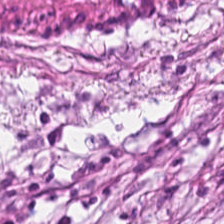H&E stain; 224×224 pixel tile.
This field is tumor-associated stroma.
